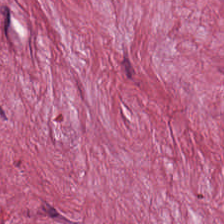The tissue class is desmoplastic stroma.
